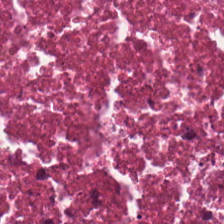Whole-slide-image patch. H&E — Histology — debris.
